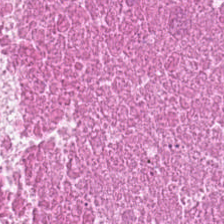The tissue type is debris.
